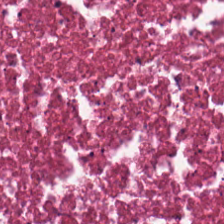0.5 µm/px. H&E — This patch shows debris.
